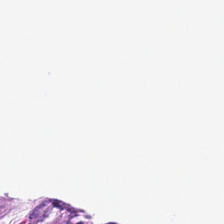H&E — Histology — no tissue.
